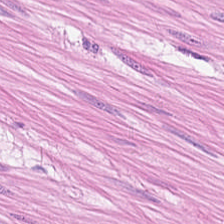Formalin-fixed paraffin-embedded section; hematoxylin and eosin; 0.5 microns per pixel.
Tissue: smooth muscle.
